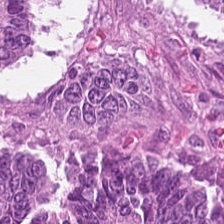Tissue class — tumor epithelium.
